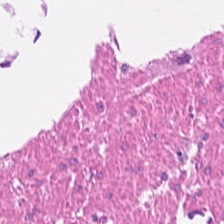Hematoxylin and eosin.
The tissue type is smooth muscle.
